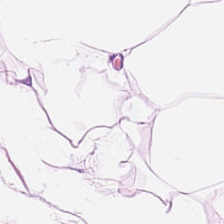Hematoxylin and eosin · 224×224 pixel tile. Q: What type of tissue is this?
A: The field shows fat tissue.
